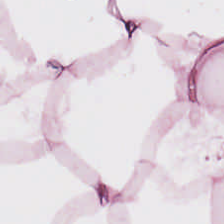224×224 px patch · H&E-stained tissue section.
Adipocytes.
